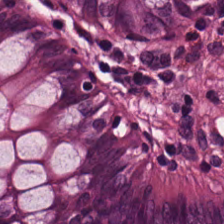Hematoxylin-and-eosin stained section; 224×224 px tile — Predominant tissue — benign colonic mucosa.
